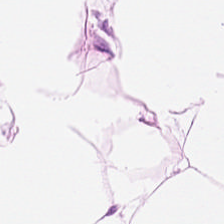0.5 microns per pixel · hematoxylin and eosin. Q: What type of tissue is this?
A: The field shows adipose tissue.
